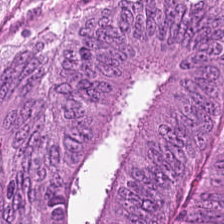Hematoxylin and eosin — Predominantly tumor epithelium.
